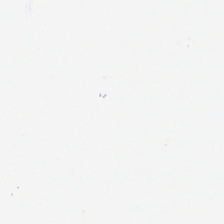Stain: H&E.
Acquisition: whole-slide-image patch.
Field content: background.
